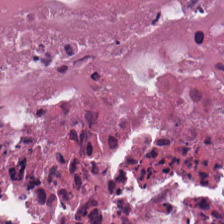Hematoxylin and eosin. The tissue here is cellular debris.
